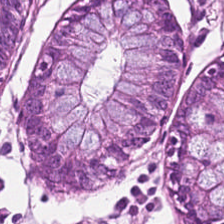H&E-stained tissue section · brightfield microscopy.
This patch shows normal colonic mucosa.
